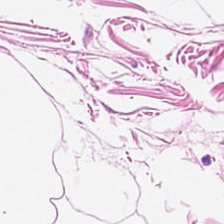The tissue is fat tissue.
